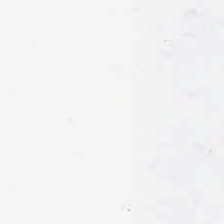H&E-stained tissue section. No tissue present; background only.
